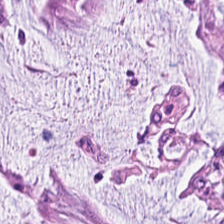Hematoxylin-and-eosin stained section.
Showing extracellular mucin.
